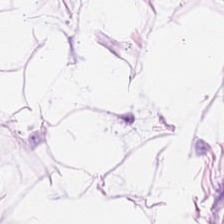H&E.
Showing fat tissue.
